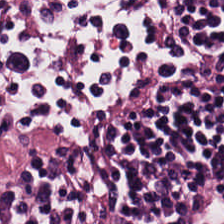Tissue type = lymphoid infiltrate.
